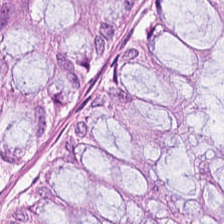H&E-stained tissue section. WSI patch.
This patch shows non-neoplastic colon mucosa.
